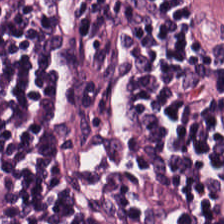224×224 px tile. H&E stain — Q: What type of tissue is this?
A: Lymphocyte aggregate.
